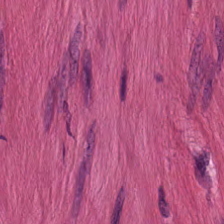Formalin-fixed paraffin-embedded section. Hematoxylin and eosin — Predominantly muscularis.
